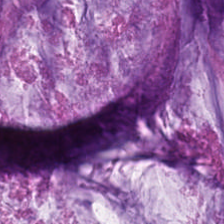Hematoxylin and eosin · 224×224 px tile.
Q: Identify the tissue.
A: This is mucin.
